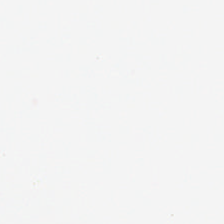Q: What is shown here?
A: The field shows no tissue.
